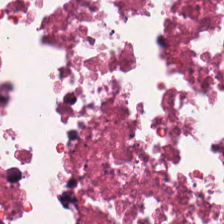Hematoxylin and eosin.
Showing necrotic debris.
